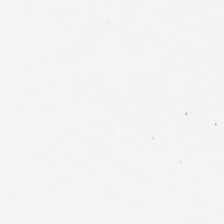H&E-stained tissue section. Q: What is shown in this field?
A: The field shows no tissue.
